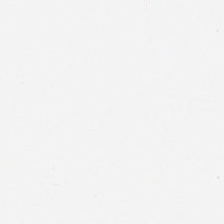H&E — Empty field — background (no tissue).
